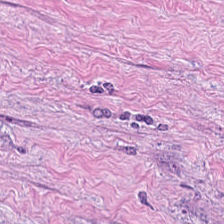H&E-stained tissue section; whole-slide-image patch — Desmoplastic stroma.
